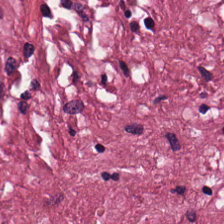224×224 px patch. H&E. WSI patch — Predominantly tumor-associated stroma.
